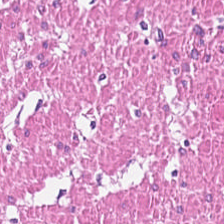H&E-stained section; the field shows muscularis.
